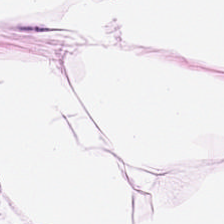FFPE tissue section · hematoxylin and eosin · 0.5 microns per pixel — Q: Classify this patch.
A: It is adipocytes.
